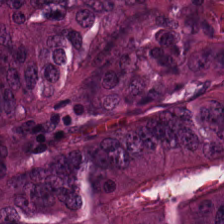H&E; formalin-fixed paraffin-embedded section; 20× equivalent magnification — Q: Classify this patch.
A: It is tumor epithelium.
